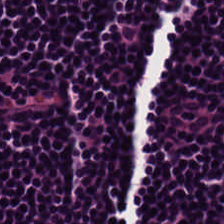224×224 px tile. Hematoxylin-and-eosin stained section.
Predominantly lymphocytic infiltrate.
